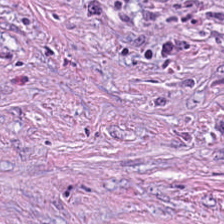20× equivalent magnification; H&E-stained tissue section; brightfield. The tissue here is tumor-associated stroma.
